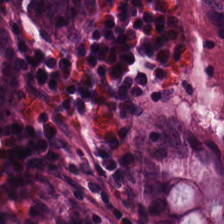H&E-stained tissue section · brightfield microscopy — The tissue here is benign colonic mucosa.
